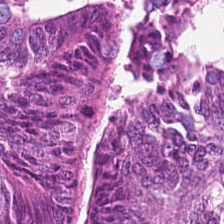Hematoxylin-and-eosin stained section; 224×224 px tile; FFPE. The predominant tissue is colorectal adenocarcinoma.
